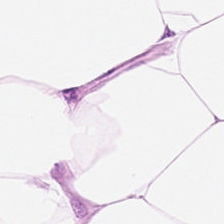H&E stain. Brightfield. 0.5 µm/px — This patch shows fat tissue.
